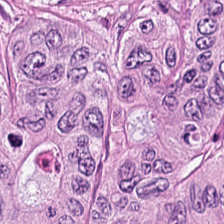H&E; 224×224 px tile.
The predominant tissue is colorectal adenocarcinoma.
